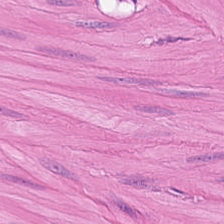Hematoxylin-and-eosin stained section — Histology → smooth-muscle tissue.
